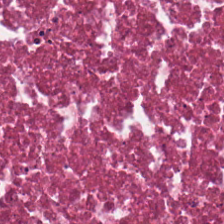20× equivalent magnification · hematoxylin-and-eosin stained section — Finding → cellular debris.
